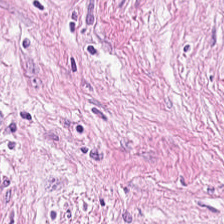Histology → tumor stroma.
